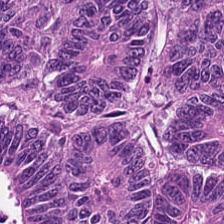H&E stain. FFPE. 224×224 px tile — Finding — malignant epithelium.
